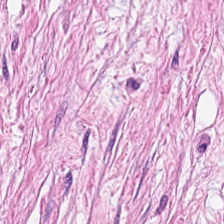Hematoxylin and eosin; WSI patch — Q: What type of tissue is this?
A: It is desmoplastic stroma.
